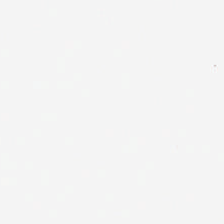Stain: H&E-stained tissue section.
Field content: no tissue.
